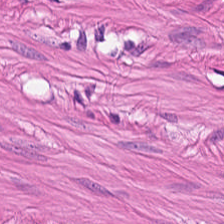The predominant tissue is smooth muscle.
